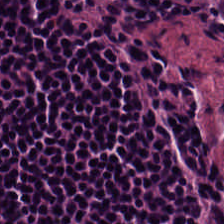224×224 px patch · formalin-fixed paraffin-embedded section · hematoxylin-and-eosin stained section.
Lymphocytic infiltrate.
